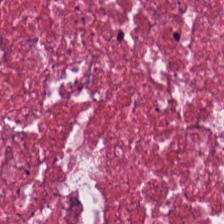H&E stain — Predominantly cancer-associated stroma.
